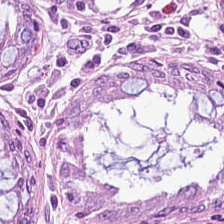0.5 µm per pixel; hematoxylin-and-eosin stained section. The tissue here is non-neoplastic colon mucosa.
